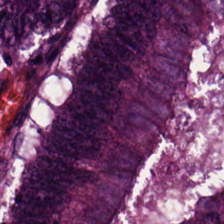WSI patch; hematoxylin and eosin.
This patch shows tumor epithelium.
